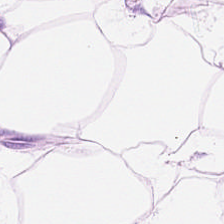Hematoxylin and eosin — The tissue type is adipocytes.
